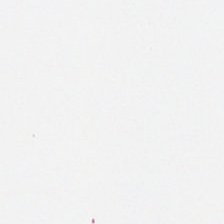Stain: H&E.
Field content: background.
